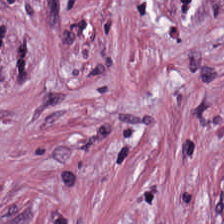{"tissue_type": "tumor-associated stroma"}
